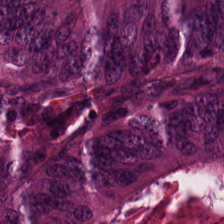H&E-stained tissue section — This patch shows adenocarcinoma.
